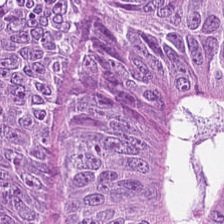Hematoxylin-and-eosin stained section. 0.5 µm per pixel. 224×224 px tile.
Tissue class = colorectal adenocarcinoma.
